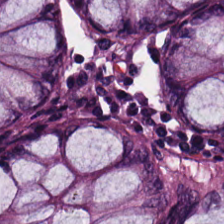Stain: H&E.
Acquisition: whole-slide-image patch.
Tissue: normal colonic mucosa.
